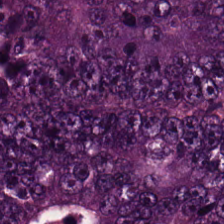H&E-stained tissue section showing malignant epithelium.
